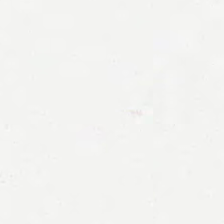WSI patch · H&E. Field content — empty background.
